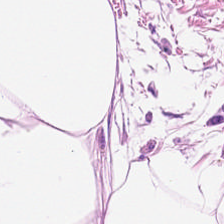H&E stain — This field is fat tissue.
